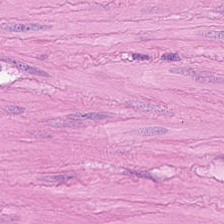H&E-stained tissue section — Smooth-muscle tissue.
